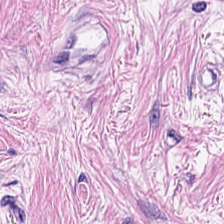Hematoxylin and eosin — Q: What tissue is shown?
A: The field shows tumor stroma.
